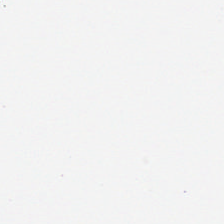224×224 pixel tile; H&E-stained tissue section; WSI patch.
Impression — background.
